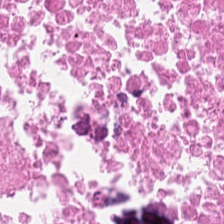H&E; brightfield. This patch shows necrotic debris.
